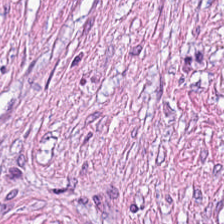H&E-stained section; the field shows tumor-associated stroma.
